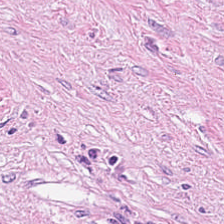H&E-stained tissue section · 224×224 px patch. The predominant tissue is cancer-associated stroma.
